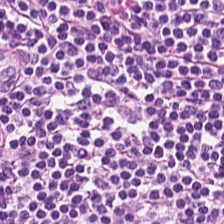Q: What is shown here?
A: This is lymphocytes.
